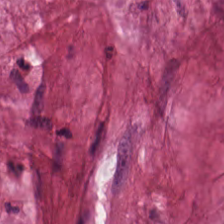H&E.
Tissue class — extracellular mucin.
